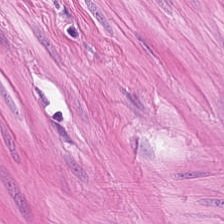H&E — smooth-muscle tissue.
